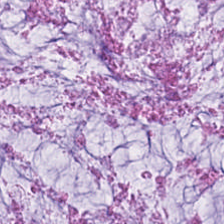H&E-stained tissue section; 224×224 px patch. Predominantly mucin.
